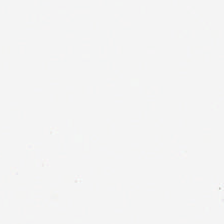Background — no tissue in this field.
